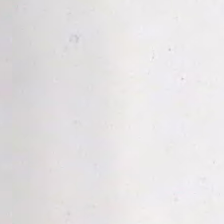Q: What does this patch show?
A: The field shows background (no tissue).
